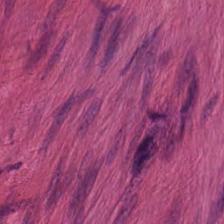Hematoxylin and eosin. Q: What type of tissue is this?
A: The field shows smooth muscle.
